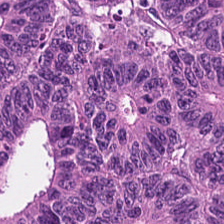H&E.
Q: What tissue is shown?
A: This is tumor epithelium.
